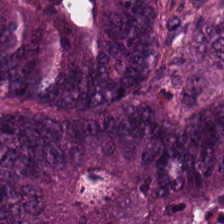H&E · 0.5 microns per pixel — Tissue class — adenocarcinoma.
